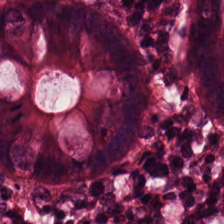H&E patch showing normal colonic mucosa.
